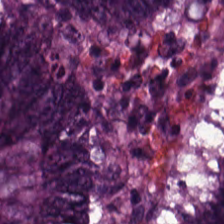0.5 microns per pixel; brightfield microscopy; hematoxylin-and-eosin stained section.
{"tissue_type": "malignant epithelium"}
